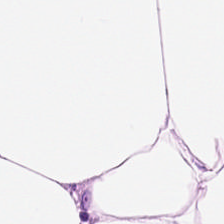Stain: H&E-stained tissue section.
Classification: adipocytes.
